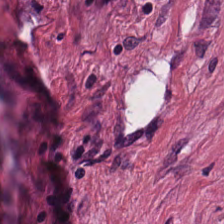Hematoxylin-and-eosin stained section. Q: What is shown here?
A: This is cancer-associated stroma.
